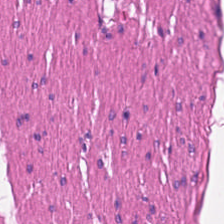Hematoxylin-and-eosin stained section — Histology — smooth-muscle tissue.
